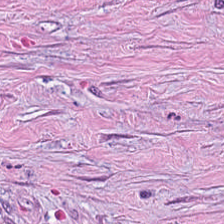H&E stain.
Predominant tissue — tumor-associated stroma.
